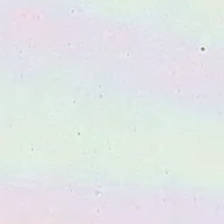Background — no tissue in this field.
